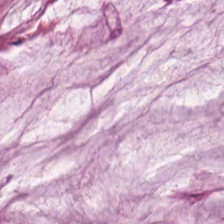Stain: H&E stain.
Tile size: 224×224 px tile.
Classification: mucus.
